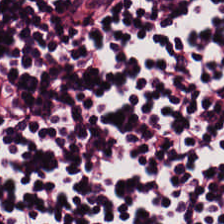Hematoxylin and eosin. 224×224 px tile.
Q: What is the predominant tissue type?
A: This is lymphocytes.
